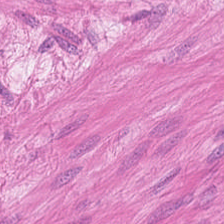H&E-stained tissue section. 224×224 pixel tile. Impression → smooth muscle.
